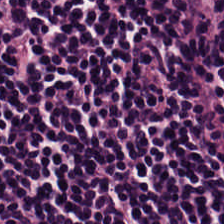Hematoxylin and eosin · 224×224 pixel tile. This field is lymphocytic infiltrate.
